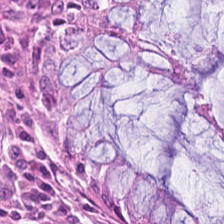Hematoxylin-and-eosin stained section. This field is non-neoplastic colon mucosa.
